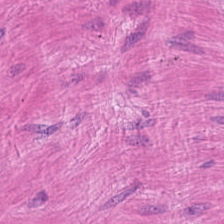Whole-slide-image patch · 0.5 µm/px · H&E-stained tissue section — Smooth muscle.
